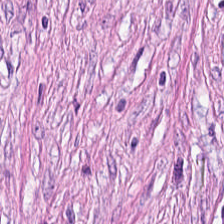Hematoxylin and eosin · 20× equivalent magnification.
Classification — tumor stroma.
